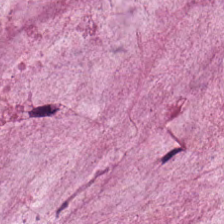Tissue — mucus.
